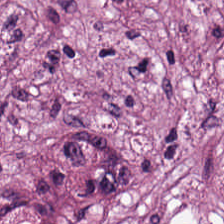224×224 px tile; whole-slide-image patch; H&E stain.
The predominant tissue is tumor-associated stroma.
